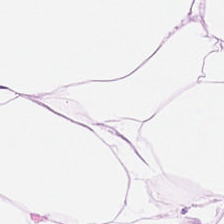H&E · 224×224 pixel tile. Adipocytes.
